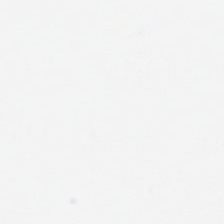224×224 px patch · H&E stain · formalin-fixed paraffin-embedded section.
Classification — background (no tissue).
